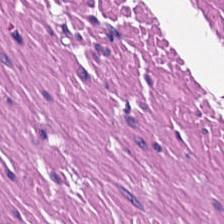Hematoxylin-and-eosin stained section. Tissue type: smooth muscle.
